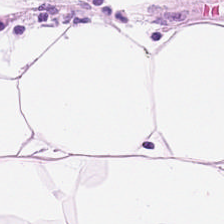H&E-stained tissue section. The predominant tissue is adipose.
